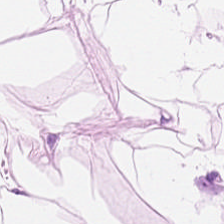Hematoxylin-and-eosin stained section.
Predominant tissue = fat tissue.
